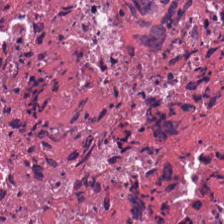H&E-stained tissue section — Tissue class — necrotic debris.
